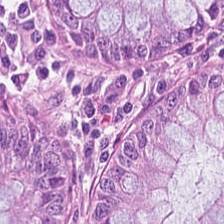H&E. Brightfield microscopy.
The predominant tissue is non-neoplastic colon mucosa.
